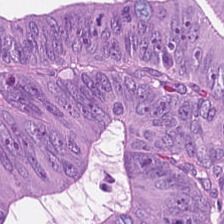Hematoxylin-and-eosin section: colorectal adenocarcinoma epithelium.
